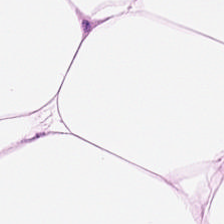0.5 µm per pixel · hematoxylin-and-eosin stained section — Tissue = fat tissue.
